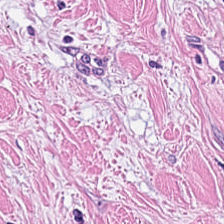Hematoxylin and eosin — Tumor stroma.
